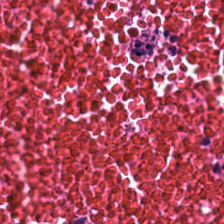Hematoxylin and eosin. Q: What is shown in this field?
A: The field shows necrotic debris.
